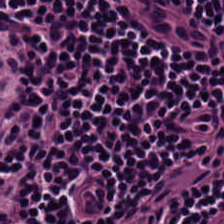Hematoxylin and eosin; FFPE tissue section. Q: Identify the tissue.
A: This is lymphoid infiltrate.
